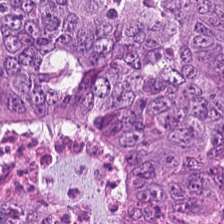224×224 px patch. Hematoxylin and eosin. FFPE — The tissue here is adenocarcinoma.
